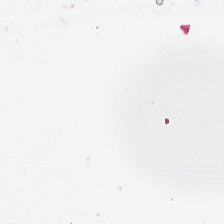FFPE tissue section. H&E.
Background — no tissue in this field.
